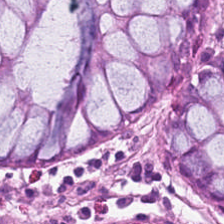H&E stain. 224×224 pixel tile. This field is normal colonic mucosa.
